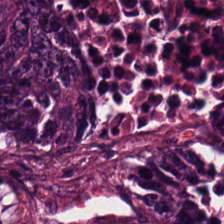FFPE tissue section · H&E-stained tissue section · 0.5 µm per pixel. Q: Classify this patch.
A: Malignant epithelium.
